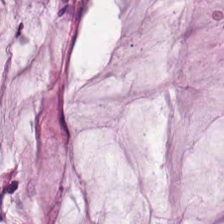Whole-slide-image patch. H&E-stained tissue section — Showing extracellular mucin.
